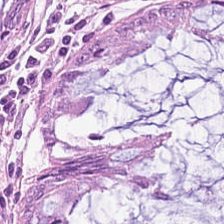Whole-slide-image patch; hematoxylin and eosin; FFPE tissue section.
Q: What type of tissue is this?
A: The field shows benign colonic mucosa.
